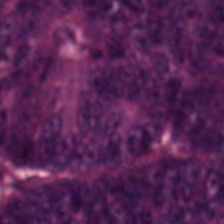20× equivalent magnification; H&E.
Tissue type = tumor epithelium.
